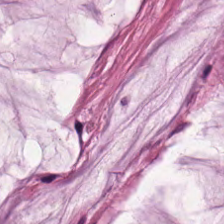Hematoxylin and eosin · 0.5 microns per pixel — Q: What is shown here?
A: Mucus.
